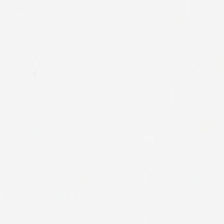0.5 µm/px. H&E stain — This field is background (no tissue).
